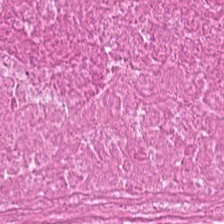The tissue here is cellular debris.
